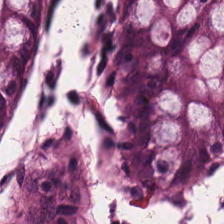FFPE; H&E; WSI patch — {"tissue_type": "benign colonic mucosa"}
